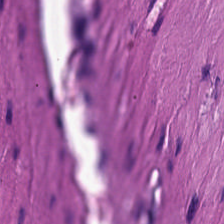Brightfield microscopy; hematoxylin-and-eosin stained section — Q: What tissue type is shown here?
A: It is smooth muscle.
